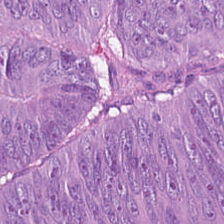Q: What does this patch show?
A: Colorectal adenocarcinoma epithelium.
